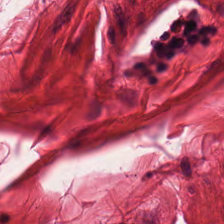H&E patch showing smooth-muscle tissue.
